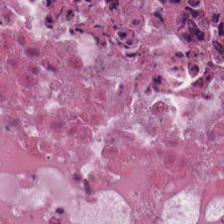0.5 µm per pixel · hematoxylin and eosin — Finding → debris.
